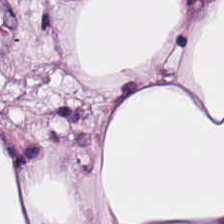Hematoxylin and eosin. Impression — fat tissue.
